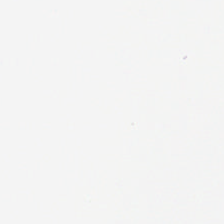The classification is no tissue.
